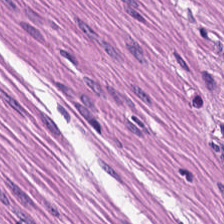H&E patch showing muscularis.
